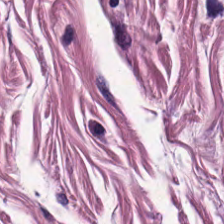H&E stain — This patch shows muscularis.
